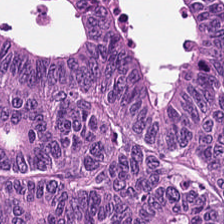H&E.
Histology — colorectal adenocarcinoma.
